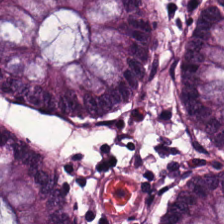H&E · brightfield microscopy · 0.5 µm per pixel — The predominant tissue is non-neoplastic colon mucosa.
